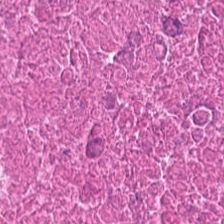Q: What tissue is shown?
A: It is debris.
